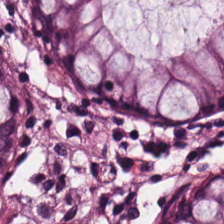Formalin-fixed paraffin-embedded section · H&E stain · 0.5 µm/px.
Finding → normal colon mucosa.
